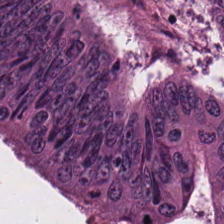Stain: H&E stain.
Tissue type: colorectal adenocarcinoma.
